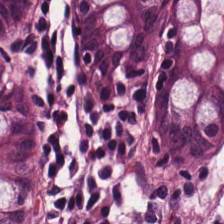Benign colonic mucosa.
